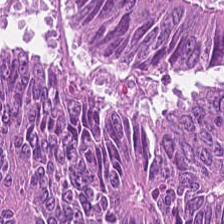0.5 microns per pixel. FFPE tissue section. H&E — Tissue class — malignant epithelium.
